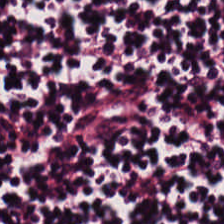Stain: H&E.
Tissue class: lymphocytic infiltrate.
